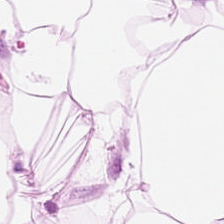Brightfield; H&E-stained tissue section.
Adipose tissue.
